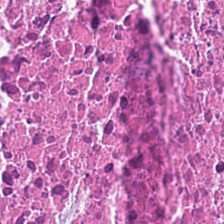224×224 px patch. Hematoxylin-and-eosin stained section. Formalin-fixed paraffin-embedded section. Tissue class: necrotic debris.
